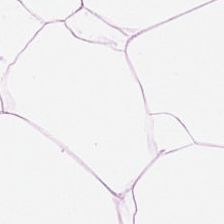Hematoxylin and eosin. 224×224 px patch. 0.5 µm/px — Q: What type of tissue is this?
A: Adipose.
